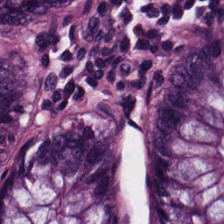H&E stain. Q: What is shown in this field?
A: This is normal colonic mucosa.
